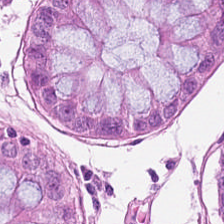WSI patch; hematoxylin-and-eosin stained section; 20× equivalent magnification.
{"tissue_type": "normal colon mucosa"}
